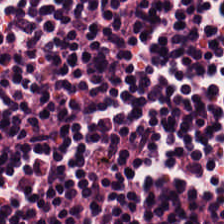H&E.
The tissue here is lymphocytes.
